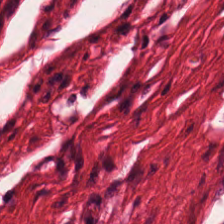H&E; brightfield microscopy. Classification = muscularis.
